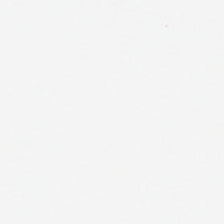20× equivalent magnification; H&E; WSI patch — Empty field — no tissue.
